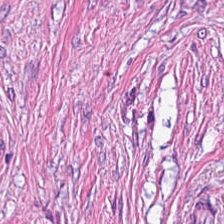This patch shows tumor-associated stroma.
